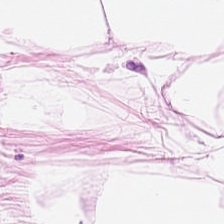Hematoxylin-and-eosin stained section · formalin-fixed paraffin-embedded section — Q: What tissue is shown?
A: Adipose.
